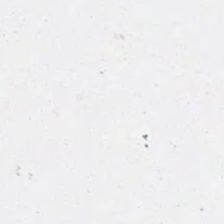H&E stain. {"content": "empty background"}
